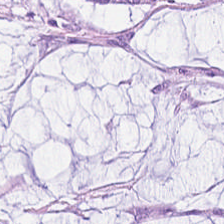Brightfield. Hematoxylin and eosin. Q: What type of tissue is this?
A: The field shows mucin.
